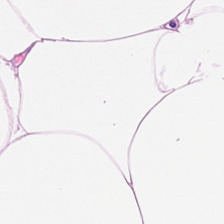Hematoxylin-and-eosin stained section — Showing adipocytes.
